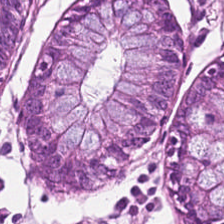Hematoxylin and eosin. 0.5 microns per pixel.
This field is normal colonic mucosa.
